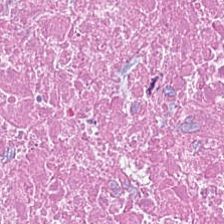Stain: H&E.
Predominant tissue: debris.
